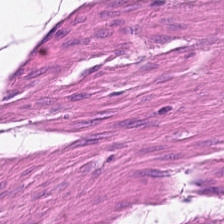H&E — Predominant tissue — smooth-muscle tissue.
